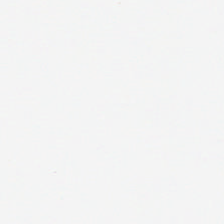Hematoxylin-and-eosin stained section; brightfield microscopy. Content: background.
